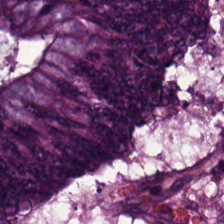H&E.
This patch shows tumor epithelium.
